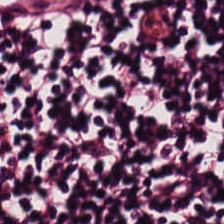Hematoxylin and eosin.
The tissue is lymphoid infiltrate.
